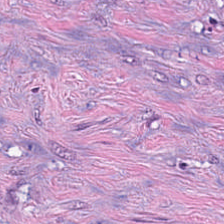20× equivalent magnification; formalin-fixed paraffin-embedded section; H&E stain. The tissue here is cancer-associated stroma.
